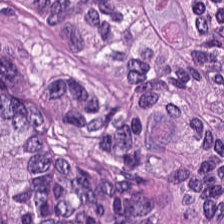Q: What type of tissue is this?
A: Tumor epithelium.
